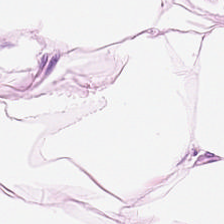H&E-stained tissue section. 224×224 px tile.
The tissue here is adipose.
